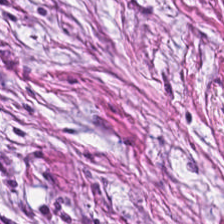H&E.
Q: Identify the tissue.
A: Desmoplastic stroma.
